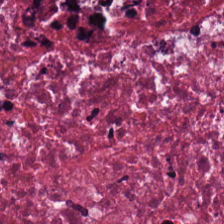Stain: hematoxylin-and-eosin stained section.
Classification: cellular debris.
